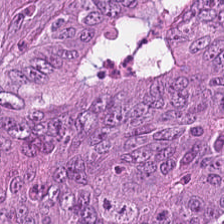The tissue is malignant epithelium.
